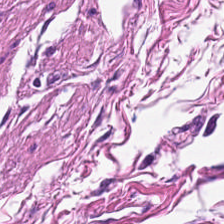H&E stain. 0.5 µm per pixel. The tissue here is smooth muscle.
